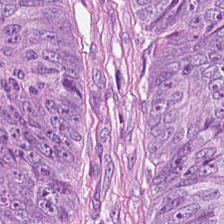H&E; 0.5 µm/px — Adenocarcinoma.
